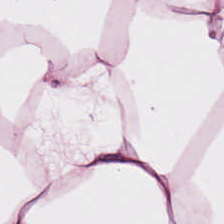The classification is adipose.
